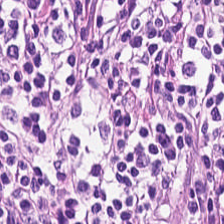224×224 pixel tile · WSI patch · H&E. This field is lymphocytic infiltrate.
